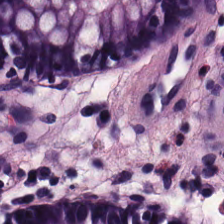Formalin-fixed paraffin-embedded section · H&E-stained tissue section — Predominant tissue — normal colonic mucosa.
